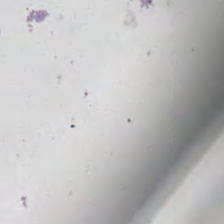No tissue present; background only.
